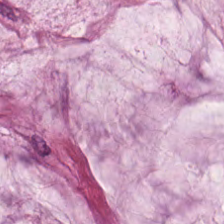H&E stain · formalin-fixed paraffin-embedded section — Q: What tissue type is shown here?
A: The field shows mucin.
